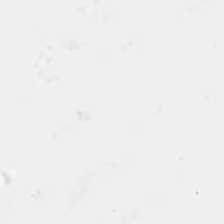H&E.
Background.
